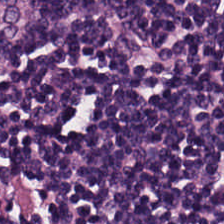Stain: H&E.
Resolution: 0.5 µm per pixel.
Tissue type: lymphocytes.
